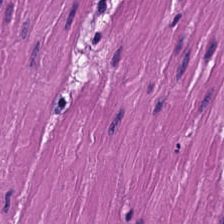Tissue type: smooth muscle.
